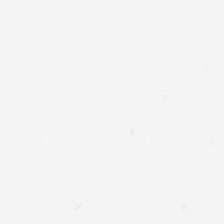H&E-stained tissue section.
Histology — empty background.
